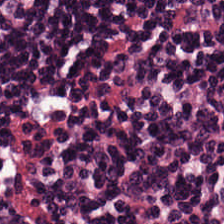Hematoxylin and eosin · 0.5 µm per pixel. {"tissue_type": "lymphocytic infiltrate"}
